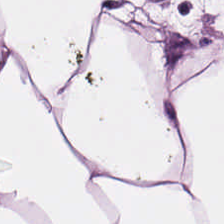Tissue — fat tissue.
